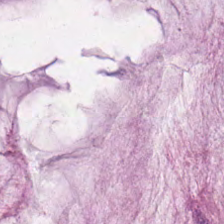Tissue = extracellular mucin.
